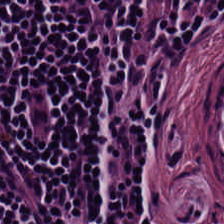Hematoxylin-and-eosin stained section. FFPE tissue section — Histology — lymphocytes.
